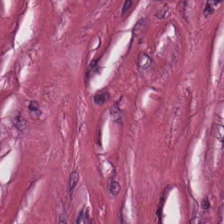Hematoxylin-and-eosin stained section. 224×224 pixel tile.
Tissue type: tumor-associated stroma.
